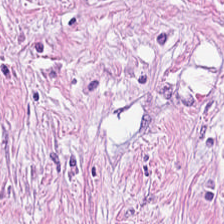Histology — desmoplastic stroma.
